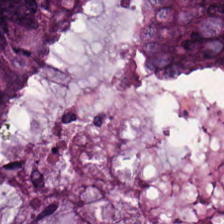H&E-stained tissue section; FFPE tissue section. Q: What tissue is shown?
A: It is colorectal adenocarcinoma epithelium.
